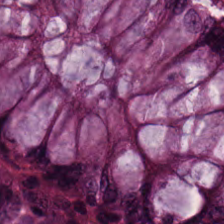FFPE tissue section · 224×224 px tile · H&E stain.
Tissue class = normal colonic mucosa.
